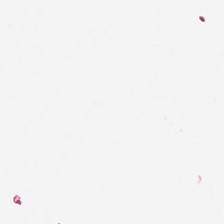H&E. Empty field — background (no tissue).
